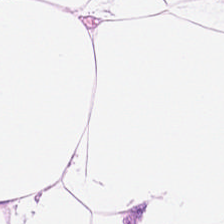The predominant tissue is fat tissue.
